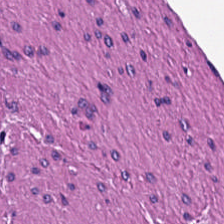Hematoxylin and eosin — Predominantly muscularis.
